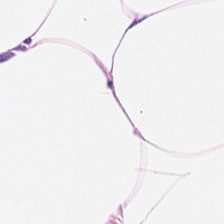H&E-stained tissue section.
The tissue is adipocytes.
